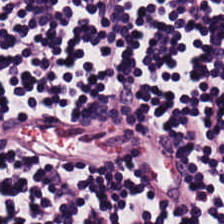0.5 microns per pixel · H&E-stained tissue section. The predominant tissue is lymphocytes.
